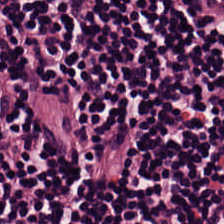Stain: hematoxylin-and-eosin stained section.
Classification: lymphocyte aggregate.
